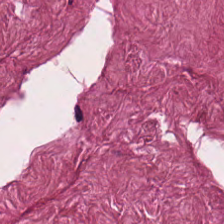H&E-stained tissue section.
Predominant tissue = cancer-associated stroma.
